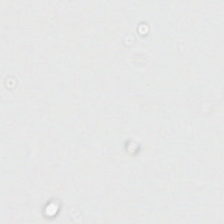20× equivalent magnification · H&E stain · 224×224 pixel tile. This patch shows background.
